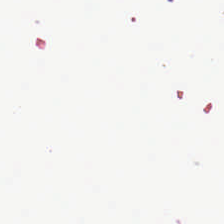Hematoxylin and eosin. Formalin-fixed paraffin-embedded section.
This patch shows background.
